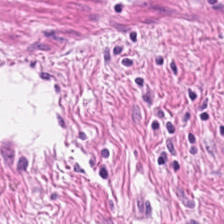H&E.
Impression → smooth muscle.
